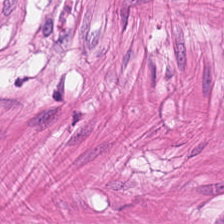Stain: hematoxylin-and-eosin stained section.
Tissue type: smooth-muscle tissue.
